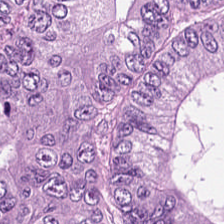H&E-stained tissue section.
This patch shows malignant epithelium.
